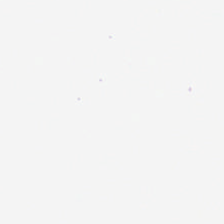Hematoxylin-and-eosin stained section. Finding → no tissue.
